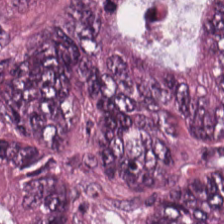H&E-stained tissue section. Finding → tumor epithelium.
